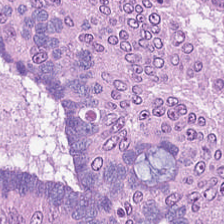H&E.
Impression — tumor epithelium.
